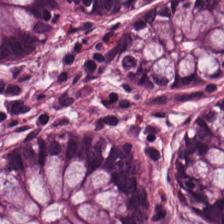Q: What is the predominant tissue type?
A: This is non-neoplastic colon mucosa.
